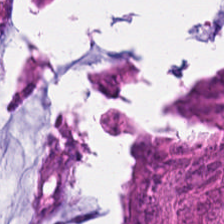Impression — colorectal adenocarcinoma epithelium.
